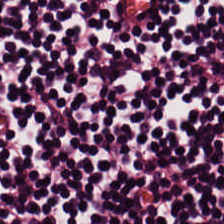H&E-stained tissue section — Lymphocytic infiltrate.
